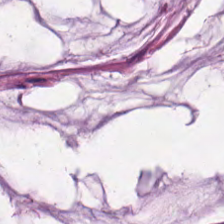Predominant tissue — mucus.
